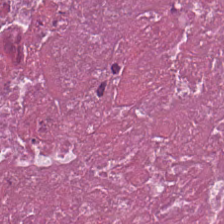224×224 px tile · H&E. This field is debris.
